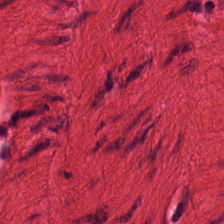H&E.
{"tissue_type": "muscularis"}
